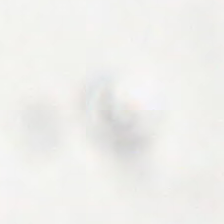224×224 pixel tile; 20× equivalent magnification; H&E.
The classification is background.
